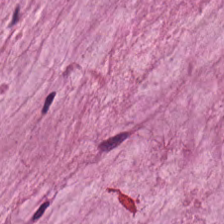Hematoxylin and eosin. 224×224 px patch. Formalin-fixed paraffin-embedded section. Predominant tissue — mucin.
